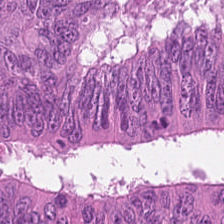Hematoxylin-and-eosin stained section.
The predominant tissue is colorectal adenocarcinoma.
